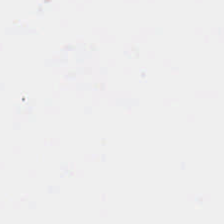H&E.
Background — no tissue in this field.
